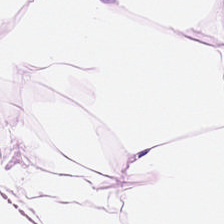H&E-stained tissue section · brightfield — Showing adipose tissue.
